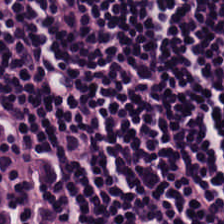H&E-stained tissue section.
This patch shows lymphocytic infiltrate.
